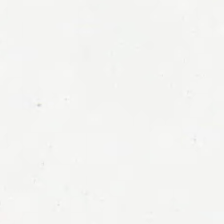The content is background.
